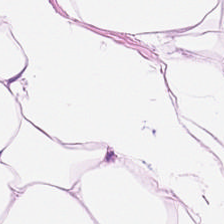H&E. 20× equivalent magnification.
Impression → adipose.
